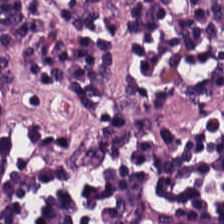Stain: H&E stain.
Tissue class: lymphoid infiltrate.
